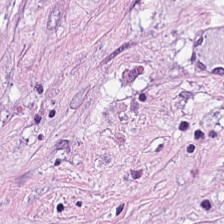H&E stain — Histology — tumor stroma.
